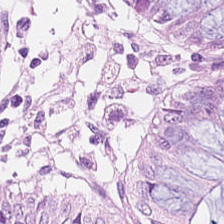H&E. Tissue — benign colonic mucosa.
